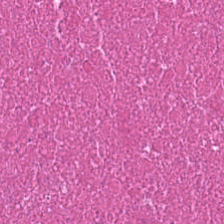H&E-stained tissue section — Tissue class — necrotic debris.
